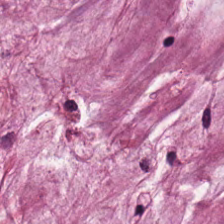Hematoxylin-and-eosin stained section · brightfield · formalin-fixed paraffin-embedded section.
This patch shows mucus.
